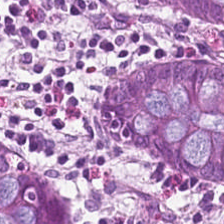0.5 microns per pixel. H&E stain. Q: What is shown in this field?
A: This is normal colon mucosa.
